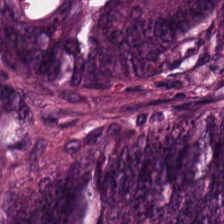0.5 microns per pixel; hematoxylin and eosin; 224×224 pixel tile. {"tissue_type": "adenocarcinoma"}
